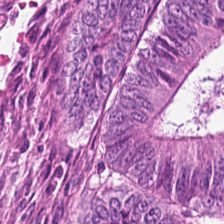H&E. 0.5 µm per pixel. Brightfield — Finding → tumor epithelium.
